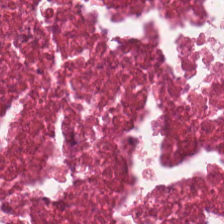Stain: H&E.
Tissue type: necrotic debris.
